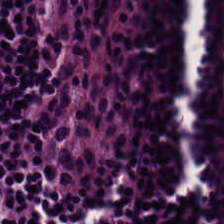Hematoxylin and eosin. Q: What does this patch show?
A: It is lymphocytic infiltrate.
